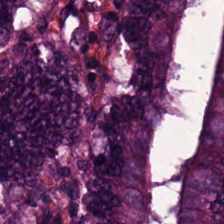Formalin-fixed paraffin-embedded section · H&E · 224×224 pixel tile — The predominant tissue is adenocarcinoma.
